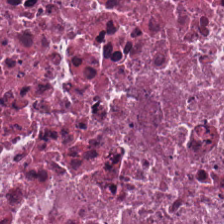H&E-stained tissue section · 224×224 px tile. Showing necrotic debris.
